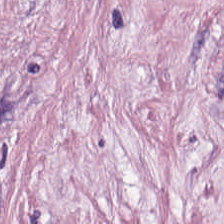H&E — Impression → tumor stroma.
